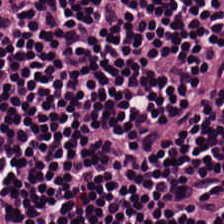Hematoxylin-and-eosin stained section. 224×224 pixel tile. FFPE. Impression → lymphoid infiltrate.
